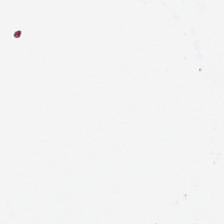Content: background.
